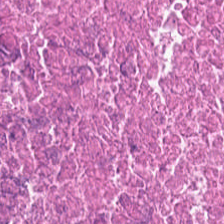The predominant tissue is debris.
